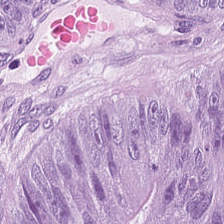Whole-slide-image patch · hematoxylin and eosin. Classification: tumor epithelium.
